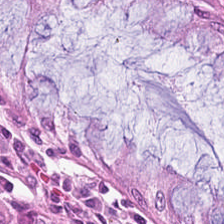The predominant tissue is non-neoplastic colon mucosa.
